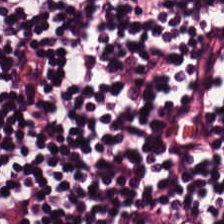Stain: H&E.
Resolution: 20× equivalent magnification.
Preparation: FFPE.
Tissue type: lymphocytes.
